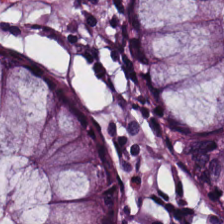Tissue: non-neoplastic colon mucosa.
